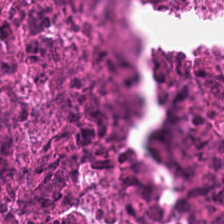FFPE tissue section · hematoxylin-and-eosin stained section. Impression — debris.
